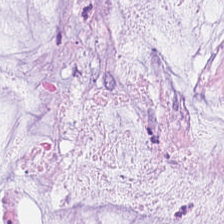FFPE tissue section · hematoxylin and eosin · whole-slide-image patch.
Tissue = mucin.
